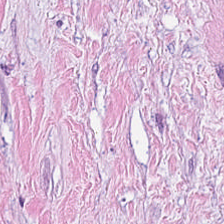Stain: H&E.
Resolution: 20× equivalent magnification.
Tissue type: tumor-associated stroma.
